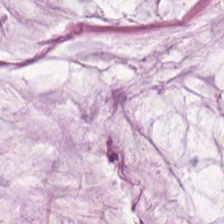The tissue here is extracellular mucin.
